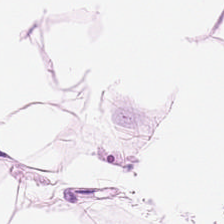H&E-stained tissue section. 224×224 pixel tile. Formalin-fixed paraffin-embedded section. The tissue type is adipose tissue.
